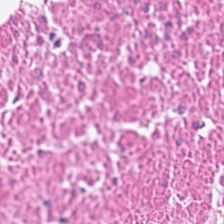H&E-stained tissue section. Predominantly smooth-muscle tissue.
